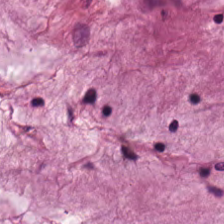224×224 px patch · formalin-fixed paraffin-embedded section · H&E — Classification — mucus.
